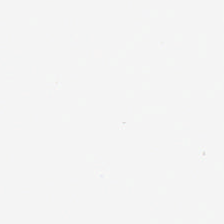H&E.
No tissue present; background only.
